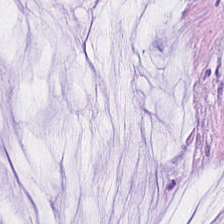The predominant tissue is extracellular mucin.
